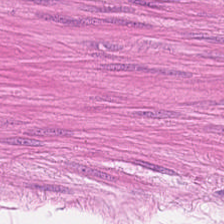Brightfield. H&E stain. {"tissue_type": "muscularis"}
